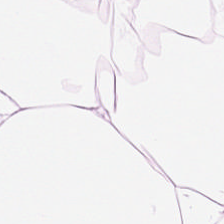H&E-stained tissue section · 0.5 µm per pixel · 224×224 pixel tile — The tissue here is adipocytes.
